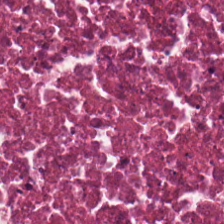Hematoxylin-and-eosin stained section. The predominant tissue is debris.
